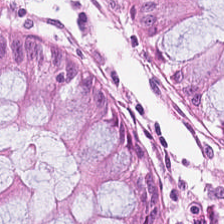Hematoxylin and eosin. 224×224 px patch. 0.5 µm per pixel. Q: Classify this patch.
A: Benign colonic mucosa.
